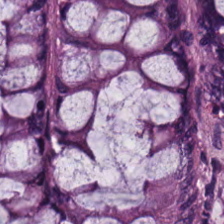Whole-slide-image patch. 0.5 microns per pixel. H&E-stained tissue section — Classification — normal colon mucosa.
